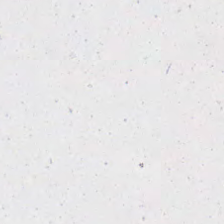Classification — no tissue.
